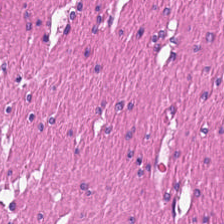Hematoxylin-and-eosin stained section. 224×224 pixel tile. Classification: smooth-muscle tissue.
